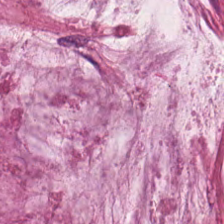0.5 µm per pixel; H&E-stained tissue section.
Q: What does this patch show?
A: Mucin.
